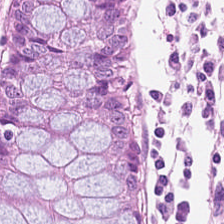H&E-stained tissue section showing normal colonic mucosa.
